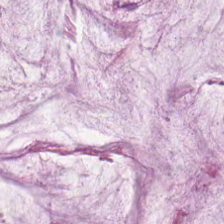Tissue: mucus.
